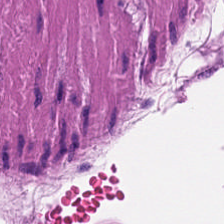H&E stain; 20× equivalent magnification. Showing smooth muscle.
